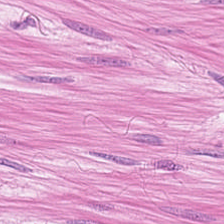0.5 µm per pixel; 224×224 px patch; H&E-stained tissue section.
Q: What type of tissue is this?
A: It is smooth-muscle tissue.
